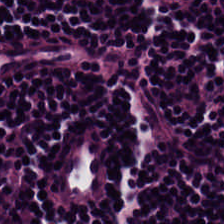Stain: H&E stain.
Tissue type: lymphocyte aggregate.
